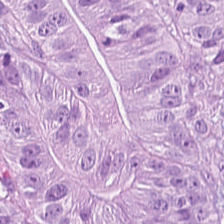224×224 px patch. H&E-stained tissue section. WSI patch — {"tissue_type": "tumor epithelium"}
